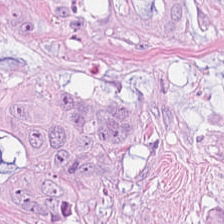H&E stain. Tissue type — colorectal adenocarcinoma.
